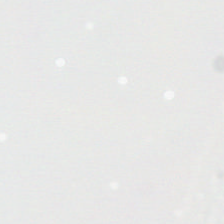H&E. {"content": "background (no tissue)"}
